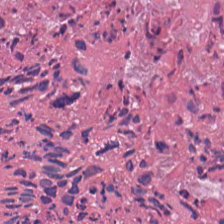Stain: hematoxylin and eosin.
Preparation: formalin-fixed paraffin-embedded section.
Predominant tissue: cellular debris.
